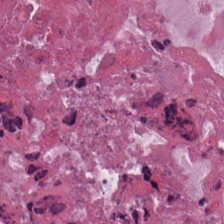Hematoxylin and eosin — The classification is necrotic debris.
